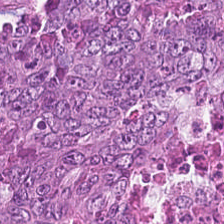224×224 px tile; brightfield microscopy; H&E stain.
Tissue = colorectal adenocarcinoma epithelium.
